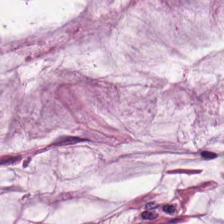224×224 px tile; whole-slide-image patch; H&E stain.
Q: What is shown here?
A: It is mucin.
